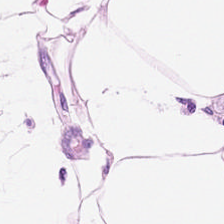Predominant tissue — adipocytes.
